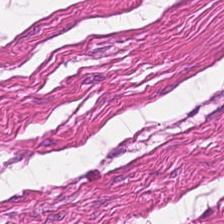0.5 microns per pixel. WSI patch. H&E stain.
Predominantly muscularis.
